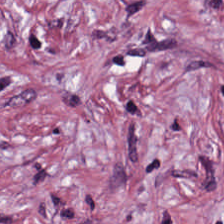Hematoxylin and eosin. The tissue here is tumor stroma.
